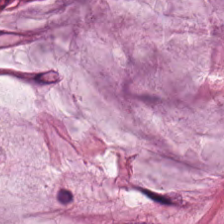224×224 px tile · hematoxylin-and-eosin stained section — {"tissue_type": "mucus"}
